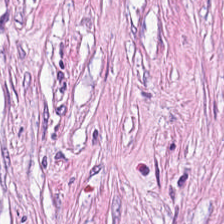H&E-stained tissue section. Q: What is shown in this field?
A: It is tumor-associated stroma.
